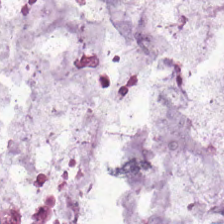Stain: H&E-stained tissue section.
Tissue: extracellular mucin.
